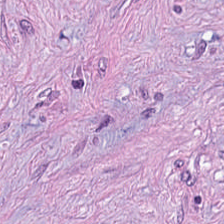Predominant tissue — tumor stroma.
